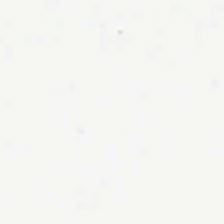Stain: H&E stain.
Preparation: FFPE tissue section.
Tile size: 224×224 px patch.
Classification: background.
